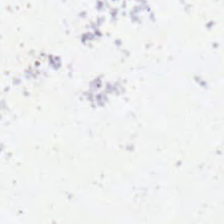Stain: hematoxylin and eosin.
Resolution: 0.5 µm per pixel.
Acquisition: brightfield microscopy.
Content: background.
